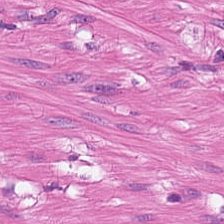H&E-stained tissue section · FFPE.
{"tissue_type": "muscularis"}
